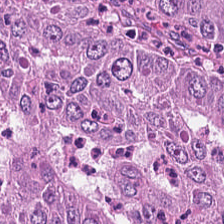Q: What does this patch show?
A: The field shows adenocarcinoma.
